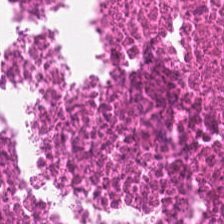Classification — debris.
